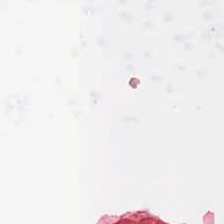H&E stain. Content: no tissue.
